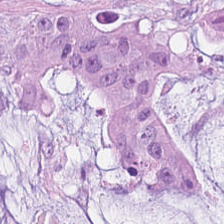H&E.
Showing extracellular mucin.
